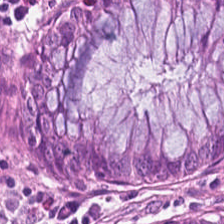Tissue — non-neoplastic colon mucosa.
